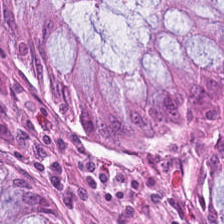{"tissue_type": "non-neoplastic colon mucosa"}
